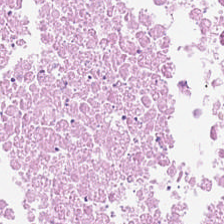0.5 microns per pixel. H&E stain. Tissue class = cellular debris.
